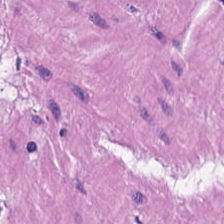Tissue: muscularis.
